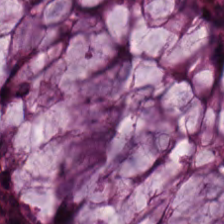H&E-stained tissue section. Brightfield. Formalin-fixed paraffin-embedded section.
Tissue type = non-neoplastic colon mucosa.
